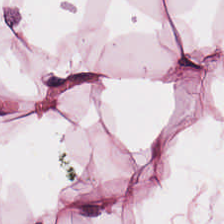Hematoxylin and eosin. {"tissue_type": "adipocytes"}
